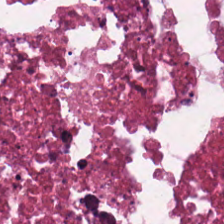Formalin-fixed paraffin-embedded section; 224×224 pixel tile; H&E stain. Q: Classify this patch.
A: Necrotic debris.
